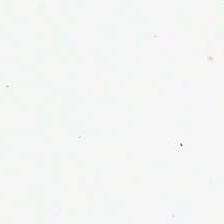No tissue present; background only.
